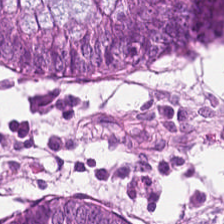Hematoxylin-and-eosin stained section — Q: What tissue is shown?
A: The field shows benign colonic mucosa.
